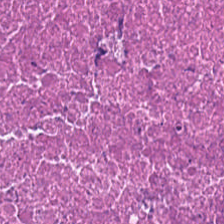224×224 px patch. Hematoxylin-and-eosin stained section.
{"tissue_type": "necrotic debris"}
